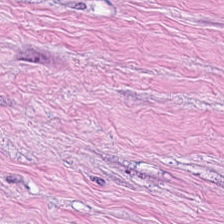Q: Identify the tissue.
A: The field shows tumor-associated stroma.
